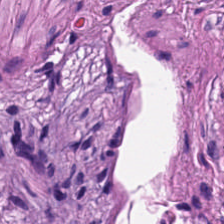Hematoxylin-and-eosin stained section.
Q: What is shown in this field?
A: This is smooth-muscle tissue.
